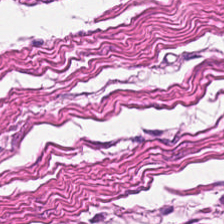Showing muscularis.
